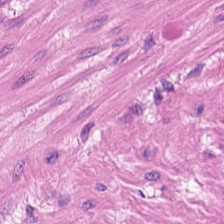224×224 pixel tile; hematoxylin and eosin.
Predominantly smooth-muscle tissue.
